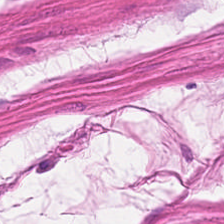Formalin-fixed paraffin-embedded section. 20× equivalent magnification. H&E.
Q: What tissue type is shown here?
A: It is smooth muscle.
